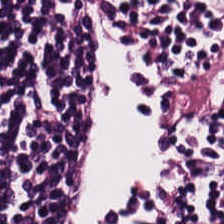Hematoxylin-and-eosin stained section; 224×224 pixel tile. Tissue: lymphoid infiltrate.
